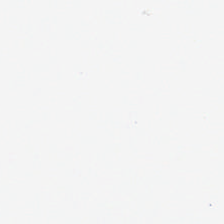0.5 µm/px; H&E; 224×224 pixel tile.
Classification — no tissue.
